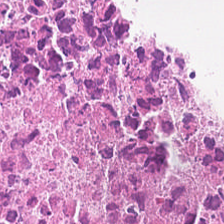H&E — Classification — cellular debris.
